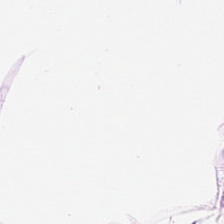Formalin-fixed paraffin-embedded section; 224×224 pixel tile; H&E-stained tissue section.
This patch shows adipocytes.
